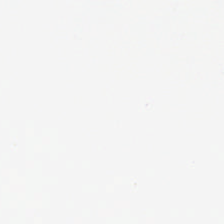H&E.
No tissue present; background only.
